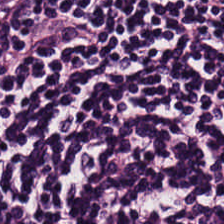H&E.
Q: What type of tissue is this?
A: The field shows lymphocytic infiltrate.
